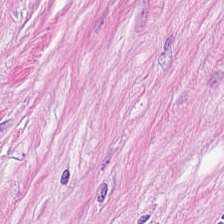Hematoxylin and eosin.
Q: What tissue is shown?
A: Tumor-associated stroma.
